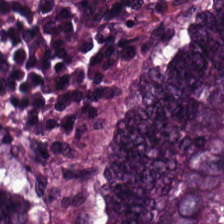H&E. Tissue type = colorectal adenocarcinoma epithelium.
